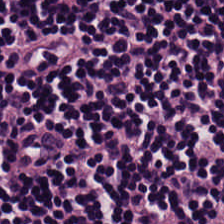Stain: H&E stain.
Tissue type: lymphocytes.
